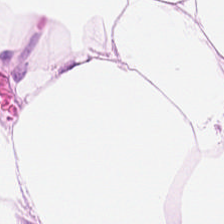Hematoxylin and eosin; 0.5 microns per pixel.
Predominant tissue = adipocytes.
